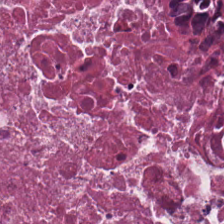Classification: cellular debris.
